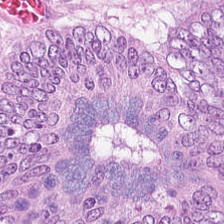Hematoxylin-and-eosin stained section. Formalin-fixed paraffin-embedded section — Q: What tissue type is shown here?
A: The field shows adenocarcinoma.
